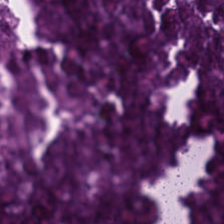Hematoxylin and eosin; WSI patch; 0.5 microns per pixel.
This patch shows cellular debris.
